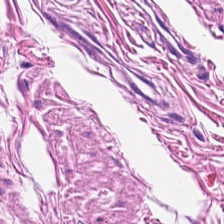H&E stain.
Tissue class: smooth muscle.
